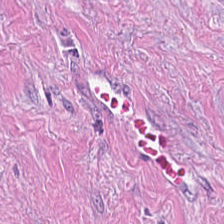0.5 µm/px · H&E stain.
Desmoplastic stroma.
